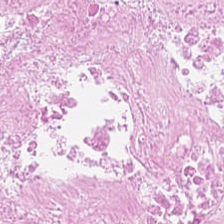Hematoxylin and eosin — Classification — necrotic debris.
